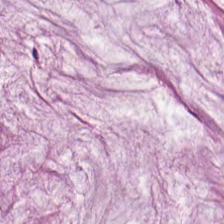224×224 px tile · H&E · formalin-fixed paraffin-embedded section.
Showing mucin.
